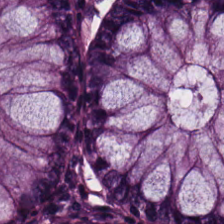H&E · 0.5 µm/px.
Classification — non-neoplastic colon mucosa.
